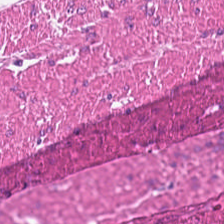H&E-stained tissue section. 20× equivalent magnification. Tissue = smooth-muscle tissue.
